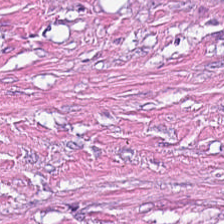Hematoxylin-and-eosin stained section; 224×224 pixel tile. This field is tumor-associated stroma.
